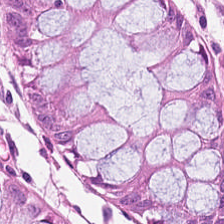The tissue here is normal colon mucosa.
